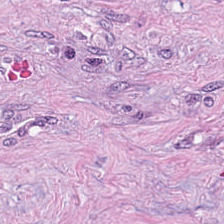H&E stain. Tissue type — tumor stroma.
